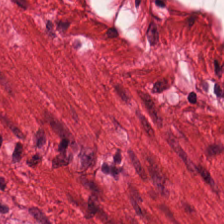Stain: H&E-stained tissue section.
Resolution: 0.5 microns per pixel.
Classification: smooth-muscle tissue.
